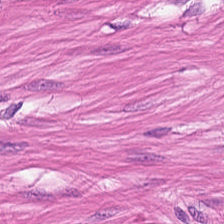H&E stain — Tissue: muscularis.
